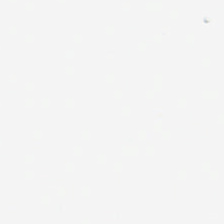H&E-stained tissue section · 0.5 microns per pixel.
Q: Classify this patch.
A: The field shows no tissue.
